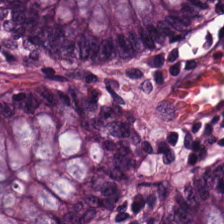Hematoxylin-and-eosin stained section — The predominant tissue is benign colonic mucosa.
